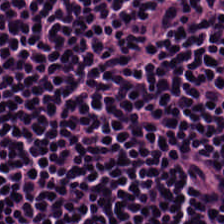Stain: H&E-stained tissue section.
Acquisition: brightfield.
Classification: lymphocytic infiltrate.
